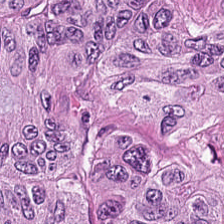H&E-stained tissue section; FFPE tissue section. Classification — adenocarcinoma.
